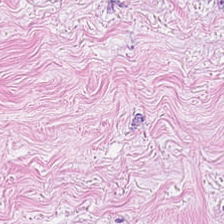Hematoxylin and eosin; 224×224 px tile — Tissue type — tumor-associated stroma.
